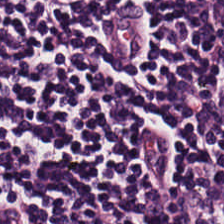Hematoxylin-and-eosin stained section · 0.5 µm/px.
Predominantly lymphocyte aggregate.
